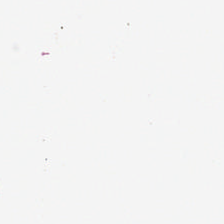Hematoxylin and eosin. Impression → no tissue.
